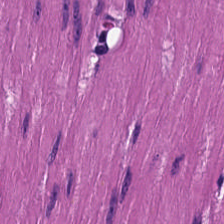H&E; 20× equivalent magnification; whole-slide-image patch. This field is smooth-muscle tissue.
